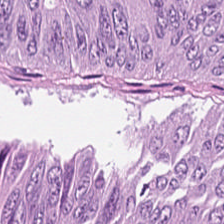H&E — Classification: adenocarcinoma.
